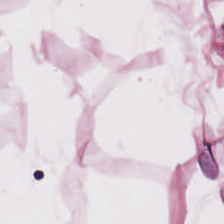Q: What does this patch show?
A: Adipocytes.
